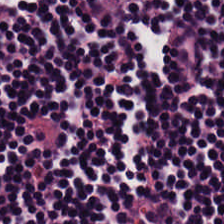Impression — lymphocyte aggregate.
